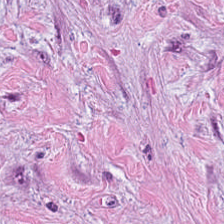H&E-stained tissue section. Showing cancer-associated stroma.
